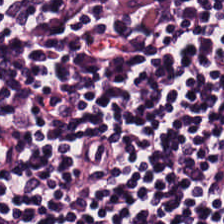H&E stain.
Q: What is shown here?
A: This is lymphocytic infiltrate.
